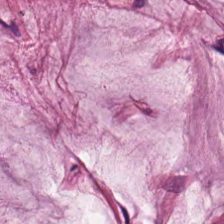20× equivalent magnification · H&E stain · 224×224 px patch. Tissue — mucus.
